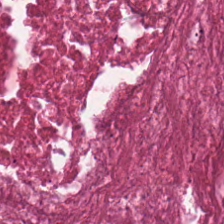Hematoxylin and eosin; formalin-fixed paraffin-embedded section; brightfield microscopy — Tissue type = cellular debris.
